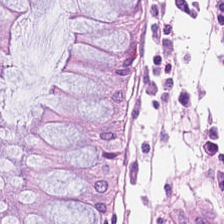0.5 µm per pixel. H&E. Q: What tissue is shown?
A: This is normal colonic mucosa.
